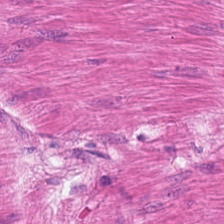H&E. {"tissue_type": "smooth muscle"}
